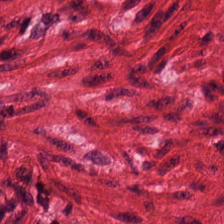Hematoxylin-and-eosin stained section.
{"tissue_type": "smooth muscle"}
